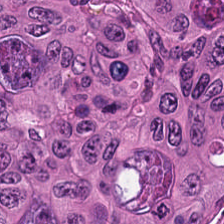224×224 px patch. H&E-stained tissue section. Formalin-fixed paraffin-embedded section — This patch shows malignant epithelium.
